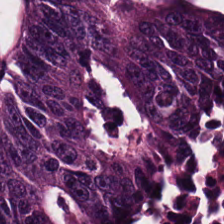Stain: H&E-stained tissue section.
Tissue: malignant epithelium.
